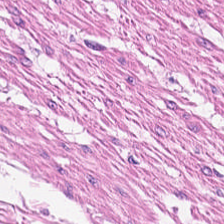Hematoxylin-and-eosin stained section.
This patch shows muscularis.
